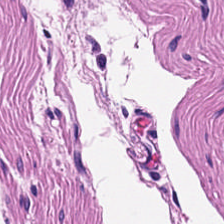H&E-stained tissue section · 224×224 px tile — Showing muscularis.
